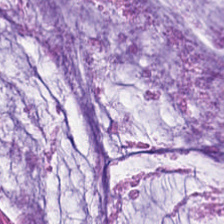Hematoxylin and eosin. Tissue class — mucus.
